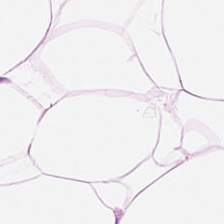Hematoxylin and eosin. FFPE tissue section. Whole-slide-image patch — Tissue class = adipose.
